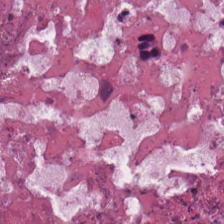Histology → debris.
